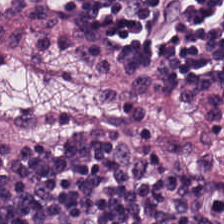FFPE tissue section; H&E; 224×224 px tile.
The predominant tissue is lymphocyte aggregate.
